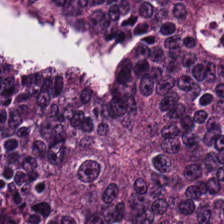H&E stain. 224×224 px patch. This patch shows colorectal adenocarcinoma epithelium.
